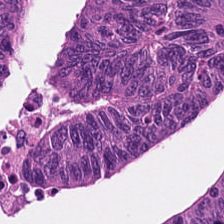H&E stain. Showing malignant epithelium.
